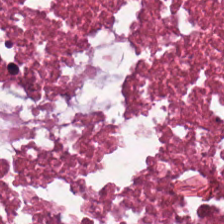Hematoxylin and eosin — This field is cellular debris.
